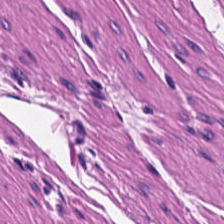H&E · FFPE tissue section · WSI patch — Q: What is the predominant tissue type?
A: It is muscularis.
